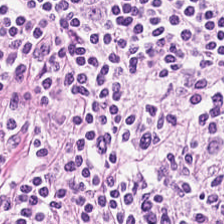FFPE tissue section. H&E-stained tissue section. 224×224 px tile. Impression — lymphoid infiltrate.
